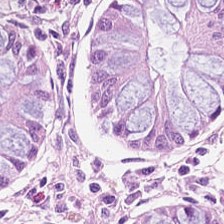H&E stain. This patch shows benign colonic mucosa.
